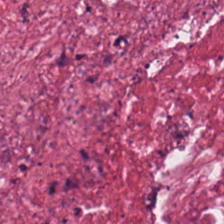H&E.
Tissue class = desmoplastic stroma.
